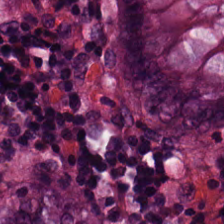Stain: H&E.
Classification: normal colonic mucosa.
